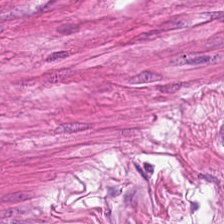Showing muscularis.
